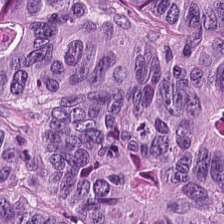H&E stain; formalin-fixed paraffin-embedded section — {"tissue_type": "malignant epithelium"}
